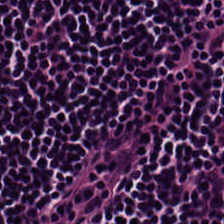Hematoxylin and eosin; FFPE tissue section.
Predominantly lymphocyte aggregate.
